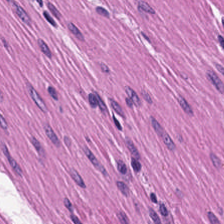H&E stain — The classification is muscularis.
